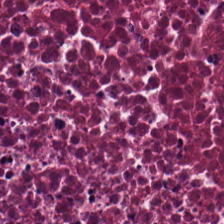0.5 µm/px; H&E; whole-slide-image patch — Impression — necrotic debris.
